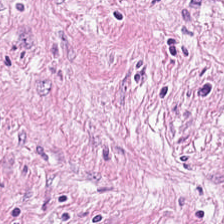Brightfield microscopy · H&E-stained tissue section · FFPE tissue section — {"tissue_type": "desmoplastic stroma"}
